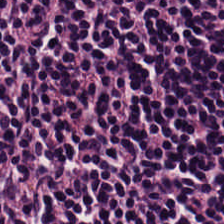Hematoxylin-and-eosin stained section. Q: What is the predominant tissue type?
A: This is lymphoid infiltrate.
